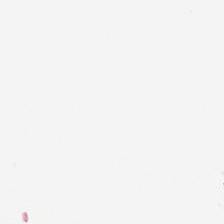Background — no tissue in this field.
